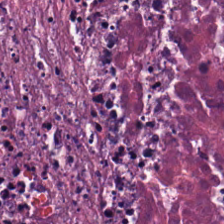Stain: H&E stain.
Tile size: 224×224 px tile.
Tissue: cellular debris.
